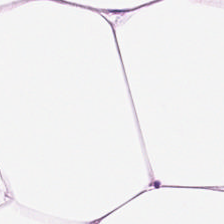Hematoxylin and eosin; 224×224 pixel tile; FFPE tissue section — {"tissue_type": "adipose"}
